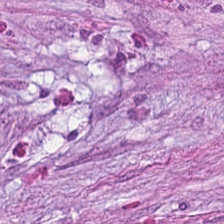H&E. Predominantly desmoplastic stroma.
